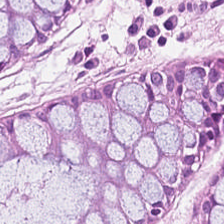Hematoxylin-and-eosin stained section · FFPE.
Q: What type of tissue is this?
A: The field shows normal colonic mucosa.
